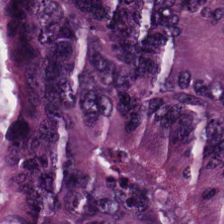H&E stain. Adenocarcinoma.
